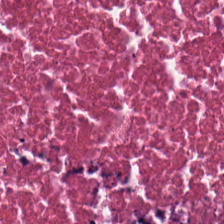Stain: H&E stain.
Tissue type: cellular debris.
